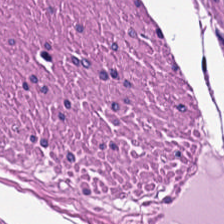FFPE. Whole-slide-image patch. H&E-stained tissue section.
Showing muscularis.
